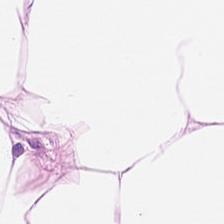H&E-stained tissue section; brightfield microscopy. Q: Classify this patch.
A: This is adipose.
